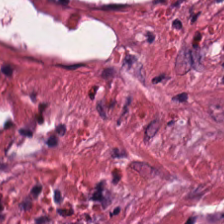Whole-slide-image patch. Hematoxylin-and-eosin stained section.
Histology → tumor stroma.
